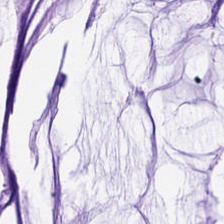H&E stain. Showing extracellular mucin.
